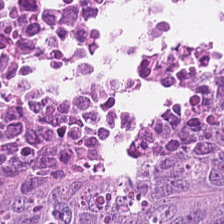H&E-stained tissue section.
The tissue here is malignant epithelium.
